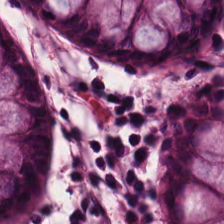Brightfield microscopy · H&E-stained tissue section — {"tissue_type": "non-neoplastic colon mucosa"}
